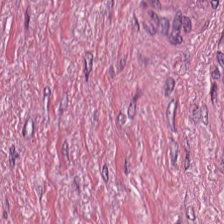{"tissue_type": "tumor-associated stroma"}
